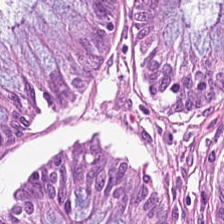H&E-stained tissue section.
Showing normal colonic mucosa.
